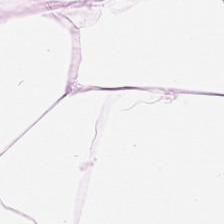0.5 µm/px. Brightfield microscopy. H&E-stained tissue section.
Predominant tissue — fat tissue.
